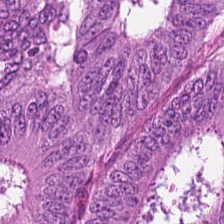Stain: H&E.
Tissue type: colorectal adenocarcinoma epithelium.
